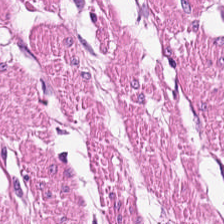H&E-stained tissue section. The tissue here is smooth muscle.
